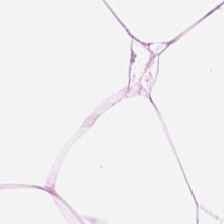H&E stain.
The predominant tissue is adipocytes.
